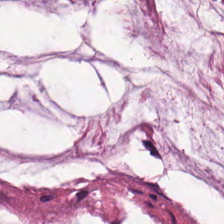Stain: H&E-stained tissue section.
Classification: mucin.
